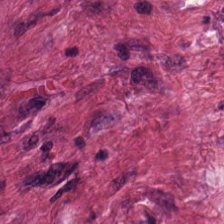FFPE tissue section · 0.5 microns per pixel · H&E-stained tissue section — Q: What is shown in this field?
A: This is desmoplastic stroma.
